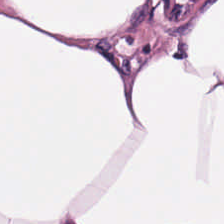H&E-stained tissue section. Formalin-fixed paraffin-embedded section — Predominant tissue: adipose.
